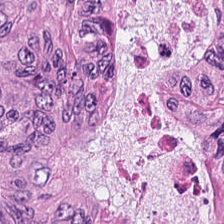Stain: H&E stain.
Predominant tissue: adenocarcinoma.
